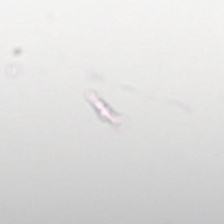H&E-stained tissue section; 0.5 microns per pixel.
Background — no tissue in this field.
